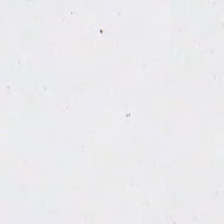224×224 pixel tile. H&E — Q: What is shown in this field?
A: This is no tissue.
